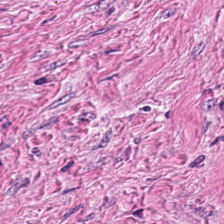FFPE tissue section. WSI patch. H&E stain — The predominant tissue is cancer-associated stroma.
